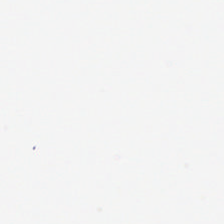H&E stain · 20× equivalent magnification · FFPE.
Classification — background.
